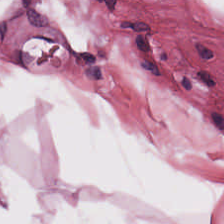224×224 px tile · brightfield · H&E stain.
Adipose tissue.
